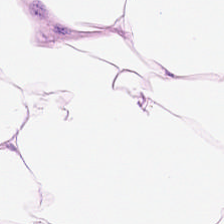Hematoxylin-and-eosin stained section · formalin-fixed paraffin-embedded section — The classification is adipose.
